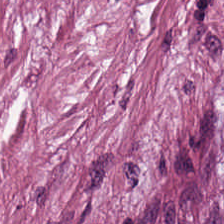Classification — tumor stroma.
